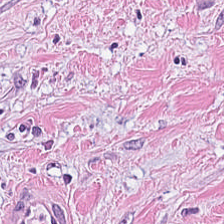Hematoxylin and eosin. Formalin-fixed paraffin-embedded section — Classification: tumor-associated stroma.
